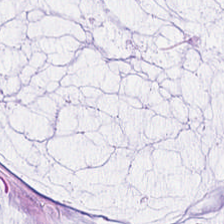Hematoxylin-and-eosin stained section. Tissue type — mucin.
